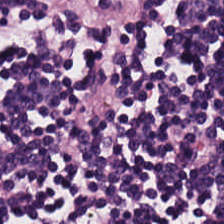The tissue is lymphocyte aggregate.
